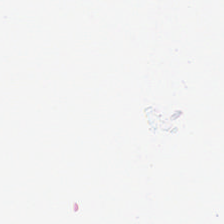WSI patch · hematoxylin and eosin · 224×224 pixel tile. Impression — background (no tissue).
